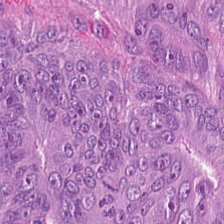FFPE · H&E.
The tissue here is colorectal adenocarcinoma.
